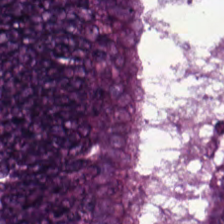Stain: H&E-stained tissue section.
Tile size: 224×224 px patch.
Acquisition: brightfield.
Tissue type: malignant epithelium.
